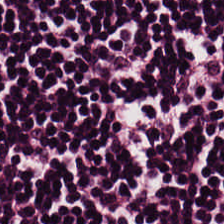Whole-slide-image patch · 224×224 px patch · hematoxylin-and-eosin stained section.
Predominantly lymphocytic infiltrate.
